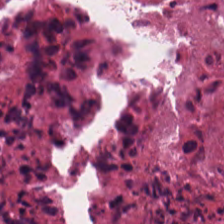H&E-stained tissue section. This patch shows debris.
